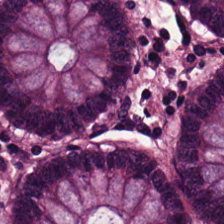Hematoxylin-and-eosin stained section. Predominant tissue: normal colonic mucosa.
